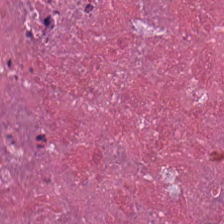H&E-stained tissue section.
The predominant tissue is debris.
